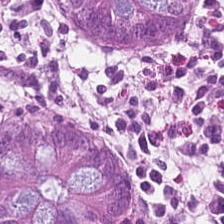224×224 pixel tile · hematoxylin and eosin · brightfield microscopy. Predominant tissue: non-neoplastic colon mucosa.
